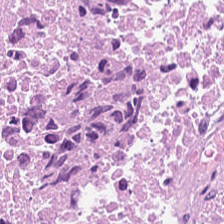FFPE · hematoxylin and eosin. Classification: debris.
